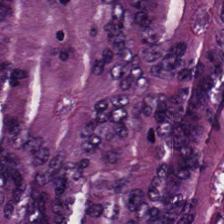224×224 px tile; FFPE tissue section; hematoxylin-and-eosin stained section.
Q: What is shown in this field?
A: It is colorectal adenocarcinoma.
